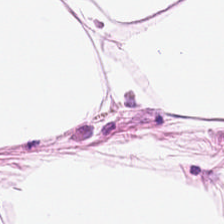H&E-stained tissue section.
Adipose tissue.
